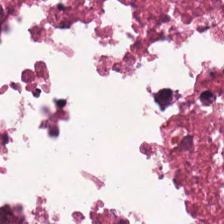H&E stain — Cellular debris.
